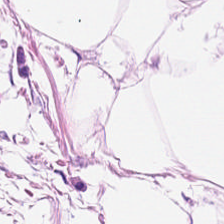H&E.
Showing adipose.
